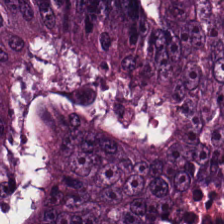H&E stain — Tissue = malignant epithelium.
